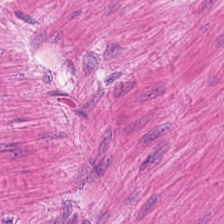H&E.
Histology → smooth muscle.
